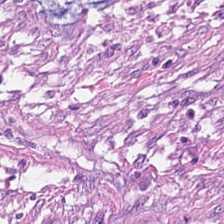Hematoxylin and eosin — {"tissue_type": "tumor-associated stroma"}
